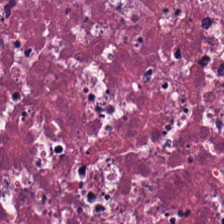H&E-stained tissue section.
Histology → debris.
